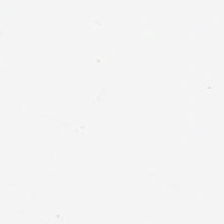H&E.
Q: What does this patch show?
A: This is empty background.
